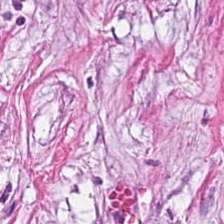Showing desmoplastic stroma.
